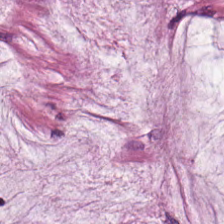Hematoxylin and eosin. Q: What tissue type is shown here?
A: It is mucin.
